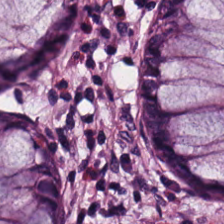Finding — normal colon mucosa.
